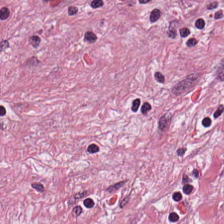H&E stain. The tissue here is tumor stroma.
